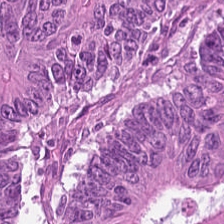Hematoxylin and eosin.
Showing colorectal adenocarcinoma.
